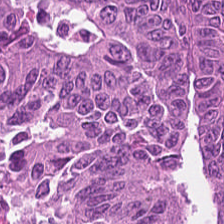Hematoxylin and eosin · brightfield microscopy — Q: Identify the tissue.
A: Colorectal adenocarcinoma.
